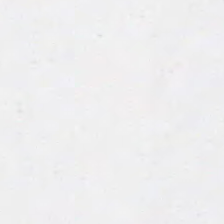Hematoxylin and eosin. Classification: no tissue.
